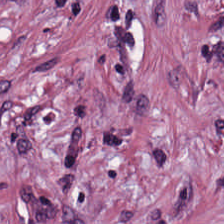The predominant tissue is desmoplastic stroma.
